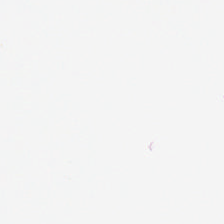This patch shows background (no tissue).
